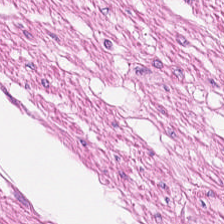H&E stain.
Histology — muscularis.
